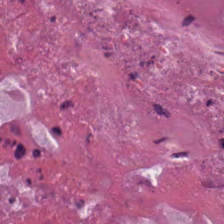Hematoxylin-and-eosin stained section.
Predominantly necrotic debris.
